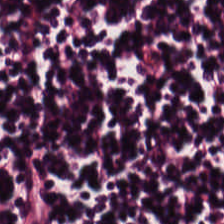224×224 pixel tile; H&E stain.
Q: What tissue type is shown here?
A: Lymphocytic infiltrate.
